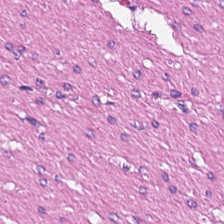{"tissue_type": "muscularis"}
